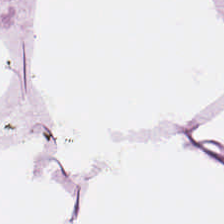Whole-slide-image patch · 0.5 µm/px · hematoxylin and eosin. Showing adipose tissue.
